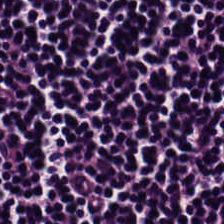Hematoxylin-and-eosin stained section. Predominantly lymphoid infiltrate.
